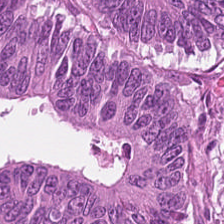H&E-stained tissue section; 224×224 px patch.
The tissue here is colorectal adenocarcinoma.
